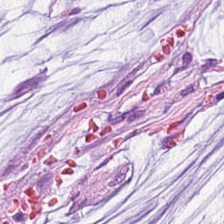H&E.
Tissue class: extracellular mucin.
